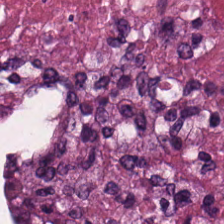Hematoxylin-and-eosin stained section; whole-slide-image patch — Histology — debris.
